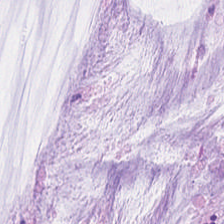Stain: hematoxylin and eosin.
Classification: mucin.
